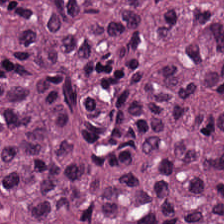Formalin-fixed paraffin-embedded section · hematoxylin and eosin — Showing colorectal adenocarcinoma.
